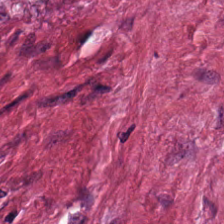Stain: H&E.
Tissue type: tumor stroma.
